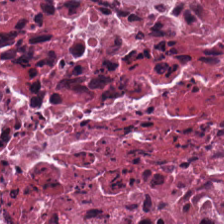{"tissue_type": "debris"}
